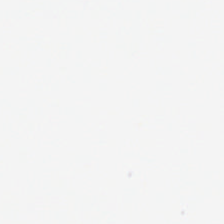Hematoxylin-and-eosin stained section — Histology — background.
